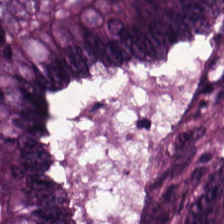Brightfield · formalin-fixed paraffin-embedded section · H&E stain.
Tumor epithelium.
